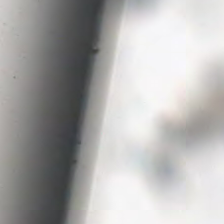H&E stain. 224×224 pixel tile. 20× equivalent magnification. Q: What is shown in this field?
A: This is no tissue.
